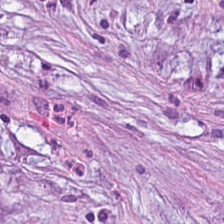Stain: hematoxylin-and-eosin stained section.
Classification: desmoplastic stroma.
